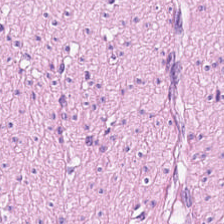H&E-stained tissue section. 0.5 microns per pixel. 224×224 px patch — The tissue here is muscularis.
